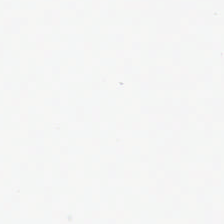Stain: H&E stain.
Field content: empty background.
